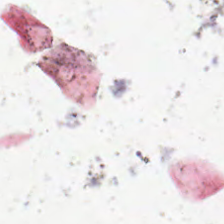Hematoxylin and eosin.
Histology → no tissue.
